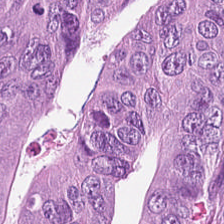Q: What type of tissue is this?
A: It is colorectal adenocarcinoma.
